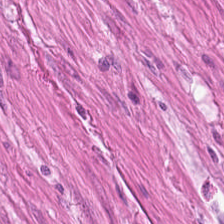Hematoxylin and eosin.
The predominant tissue is muscularis.
